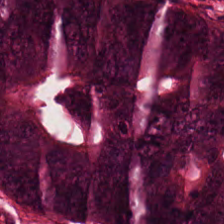Q: Identify the tissue.
A: This is colorectal adenocarcinoma.
